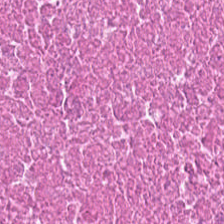Brightfield. H&E. 0.5 µm per pixel — Finding — necrotic debris.
